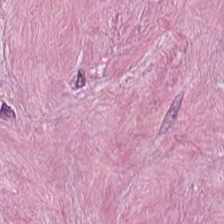FFPE tissue section · 224×224 px patch · H&E-stained tissue section.
{"tissue_type": "desmoplastic stroma"}
